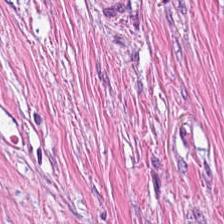{"tissue_type": "tumor-associated stroma"}
